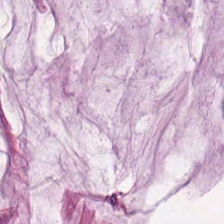Whole-slide-image patch. H&E stain. 224×224 px patch — {"tissue_type": "mucus"}
